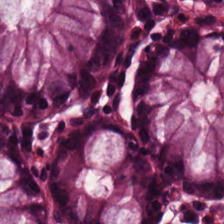Predominantly normal colon mucosa.
